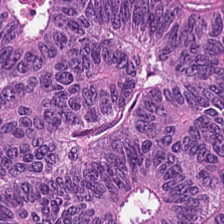H&E-stained tissue section. The tissue here is colorectal adenocarcinoma epithelium.
